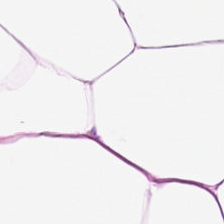Hematoxylin-and-eosin stained section — Impression → adipose.
